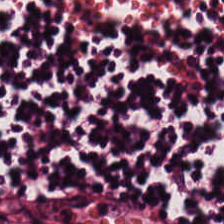Stain: H&E stain.
Resolution: 20× equivalent magnification.
Tissue type: lymphocytes.
